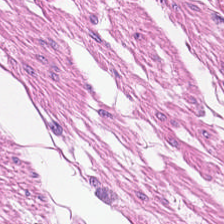Stain: H&E stain.
Acquisition: WSI patch.
Tissue class: smooth muscle.
